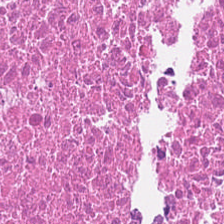H&E-stained tissue section. Predominantly cellular debris.
